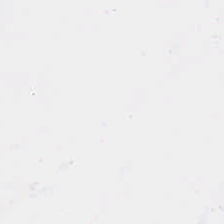{"content": "no tissue"}
